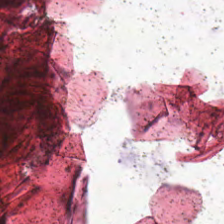Hematoxylin-and-eosin stained section — No tissue present; background only.
